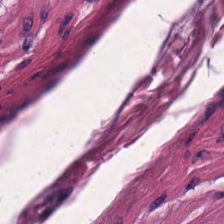Hematoxylin-and-eosin stained section. The tissue here is smooth muscle.
